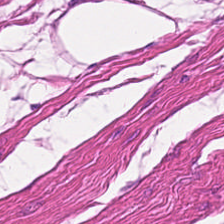Hematoxylin and eosin.
Tissue — smooth muscle.
